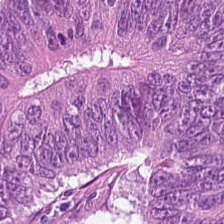Stain: H&E stain.
Preparation: formalin-fixed paraffin-embedded section.
Predominant tissue: tumor epithelium.
